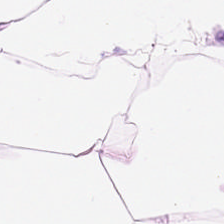H&E-stained section; the field shows fat tissue.
